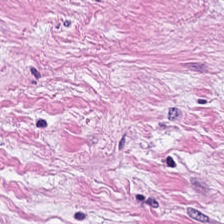This patch shows tumor stroma.
